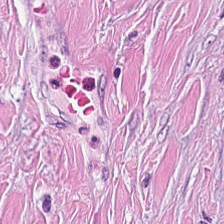Tissue class — tumor stroma.
